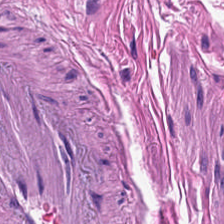H&E-stained tissue section. Muscularis.
